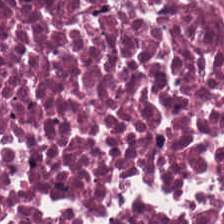Hematoxylin-and-eosin stained section — This patch shows necrotic debris.
